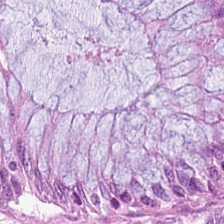Hematoxylin and eosin — The tissue type is non-neoplastic colon mucosa.
